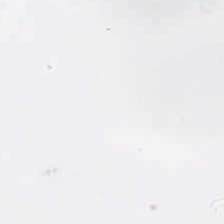Background — no tissue in this field.
